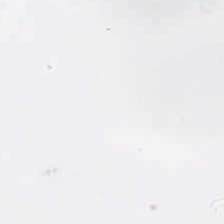Background — no tissue in this field.
